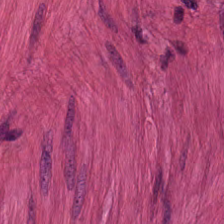H&E-stained tissue section. This patch shows muscularis.
